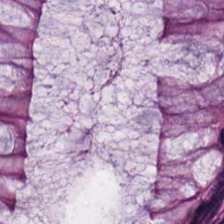Hematoxylin and eosin — The predominant tissue is benign colonic mucosa.
